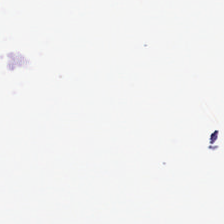Formalin-fixed paraffin-embedded section · hematoxylin-and-eosin stained section. Histology → background (no tissue).
